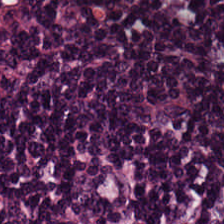224×224 px tile · FFPE tissue section · H&E stain.
Q: What is shown in this field?
A: It is lymphocyte aggregate.
